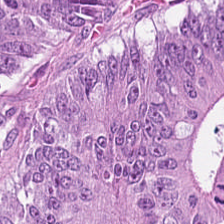Stain: hematoxylin and eosin.
Acquisition: whole-slide-image patch.
Tissue class: tumor epithelium.
